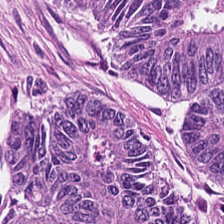Formalin-fixed paraffin-embedded section; whole-slide-image patch; H&E. The predominant tissue is malignant epithelium.
